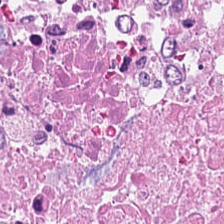Stain: H&E-stained tissue section.
Tissue class: necrotic debris.
